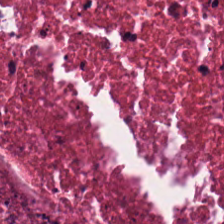Brightfield microscopy. Hematoxylin and eosin. FFPE.
Finding → debris.
